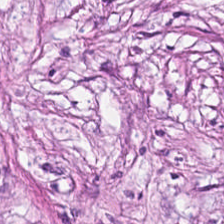20× equivalent magnification; hematoxylin and eosin — Finding → cancer-associated stroma.
